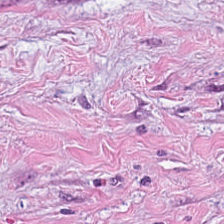H&E-stained tissue section; whole-slide-image patch; FFPE tissue section. Histology — cancer-associated stroma.
